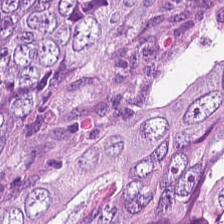Stain: H&E stain.
Tissue type: adenocarcinoma.
